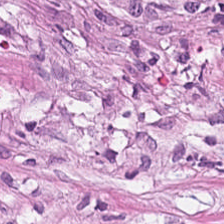FFPE; hematoxylin-and-eosin stained section; 0.5 µm per pixel. The tissue here is tumor-associated stroma.
